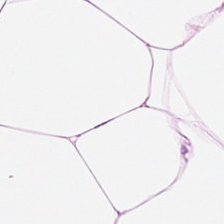H&E — adipocytes.
